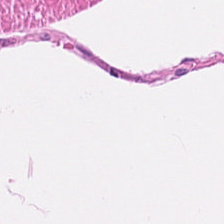Classification = smooth-muscle tissue.
